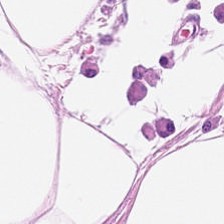Q: What type of tissue is this?
A: Fat tissue.
